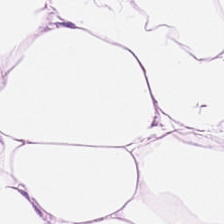H&E. Predominantly adipocytes.
